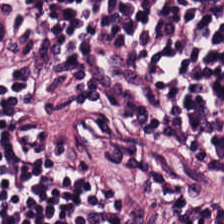Formalin-fixed paraffin-embedded section · hematoxylin-and-eosin stained section — The predominant tissue is lymphocytes.
